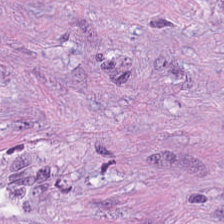Hematoxylin and eosin — This field is tumor-associated stroma.
